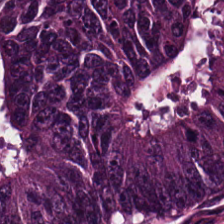Q: What is the predominant tissue type?
A: Malignant epithelium.
